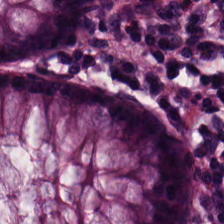FFPE tissue section · WSI patch · H&E stain. Finding — non-neoplastic colon mucosa.
